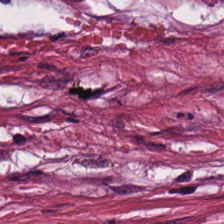Stain: hematoxylin and eosin.
Acquisition: WSI patch.
Predominant tissue: desmoplastic stroma.
